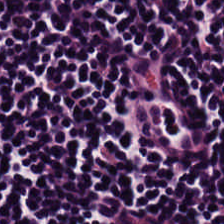0.5 microns per pixel; hematoxylin-and-eosin stained section. Predominantly lymphoid infiltrate.
